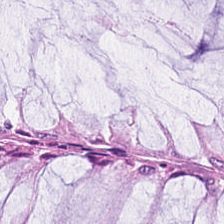Histology → normal colonic mucosa.
